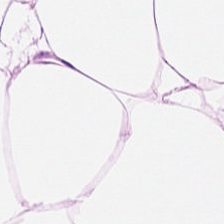H&E stain · 224×224 px patch.
This patch shows adipose tissue.
